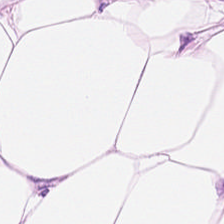H&E-stained tissue section. {"tissue_type": "fat tissue"}
